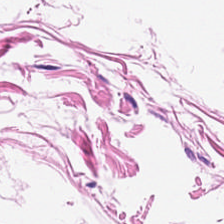Hematoxylin-and-eosin stained section; brightfield.
Classification: adipocytes.
